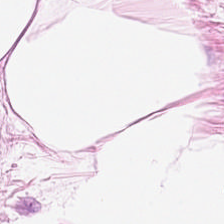0.5 microns per pixel · hematoxylin-and-eosin stained section · FFPE tissue section. Showing fat tissue.
